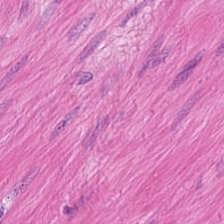Hematoxylin-and-eosin stained section · FFPE.
Q: What is shown here?
A: This is smooth-muscle tissue.
